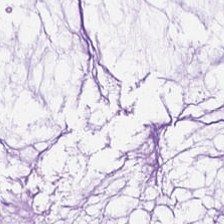H&E-stained tissue section — Q: What tissue type is shown here?
A: Mucus.
